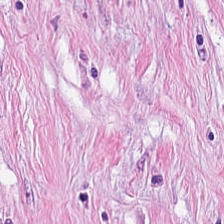H&E stain. 224×224 px patch.
Showing tumor-associated stroma.
